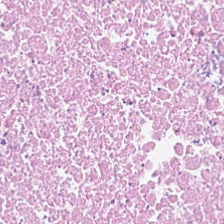H&E.
Classification = cellular debris.
